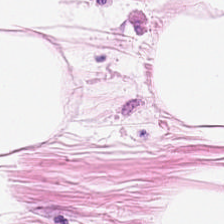Hematoxylin-and-eosin stained section; FFPE.
The tissue here is adipose.
